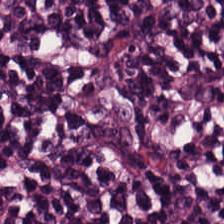Stain: hematoxylin and eosin.
Classification: lymphocytic infiltrate.
